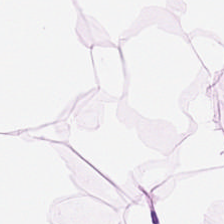Hematoxylin and eosin. The predominant tissue is adipose.
